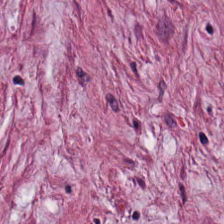Hematoxylin and eosin — Q: Classify this patch.
A: Cancer-associated stroma.
